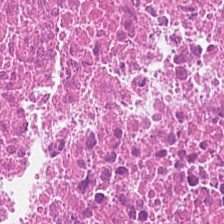Brightfield. H&E stain. Formalin-fixed paraffin-embedded section.
Tissue: necrotic debris.
